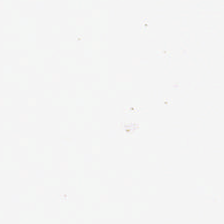20× equivalent magnification. H&E.
Content: background (no tissue).
